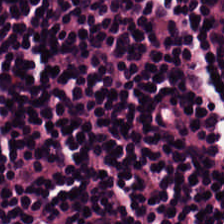H&E-stained tissue section; 0.5 µm/px; whole-slide-image patch.
{"tissue_type": "lymphocytic infiltrate"}
